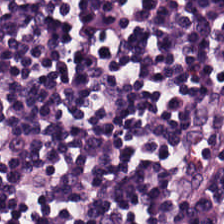H&E — Q: What does this patch show?
A: It is lymphocytes.
